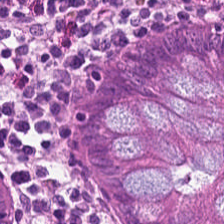H&E stain. WSI patch — Q: What is shown here?
A: Normal colonic mucosa.
